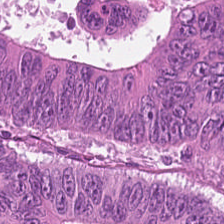Stain: H&E-stained tissue section.
Classification: malignant epithelium.
